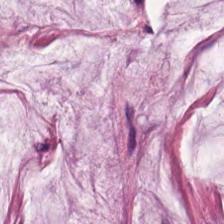Hematoxylin and eosin — Q: What is shown here?
A: Mucin.
